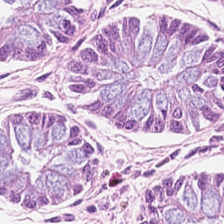Hematoxylin-and-eosin stained section · formalin-fixed paraffin-embedded section.
Predominantly non-neoplastic colon mucosa.
